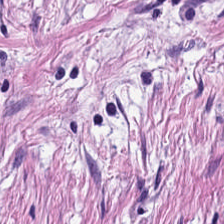224×224 px patch · brightfield · H&E. Q: What is shown in this field?
A: It is tumor stroma.
